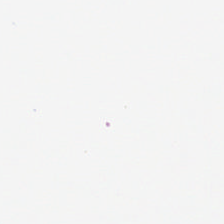H&E-stained tissue section — Content: background.
